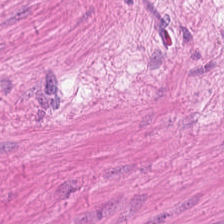Whole-slide-image patch; H&E stain. Tissue = muscularis.
